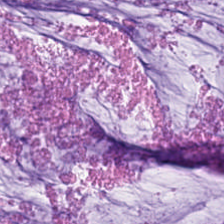H&E-stained section; the field shows extracellular mucin.
